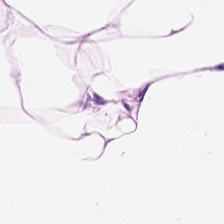H&E-stained section; the field shows fat tissue.
